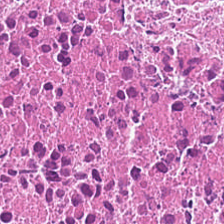Stain: H&E stain.
Tile size: 224×224 pixel tile.
Resolution: 0.5 µm/px.
Tissue: debris.
